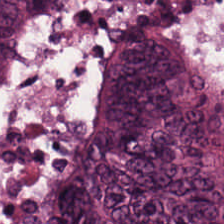Impression — colorectal adenocarcinoma.
